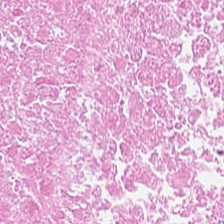Histology → debris.
